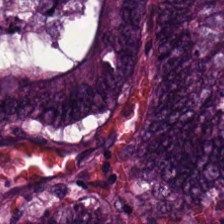H&E — {"tissue_type": "tumor epithelium"}
